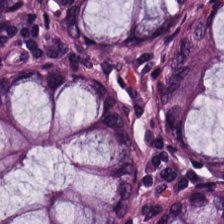H&E. Impression → benign colonic mucosa.
